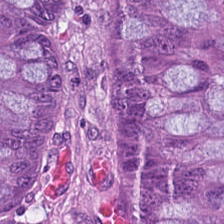Brightfield microscopy · 0.5 µm/px · H&E-stained tissue section. Tumor epithelium.
